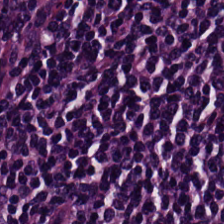Hematoxylin and eosin; 224×224 px tile; 0.5 µm/px — Tissue = lymphocytic infiltrate.
